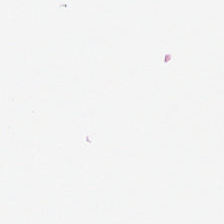H&E-stained tissue section. Background — no tissue in this field.
